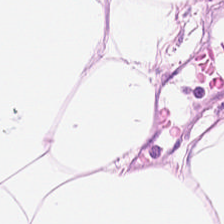H&E-stained tissue section · 0.5 µm per pixel.
Tissue — adipose.
